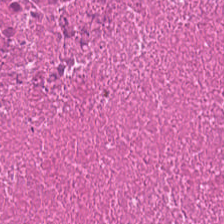Hematoxylin-and-eosin stained section; 224×224 px tile. Impression — cellular debris.
